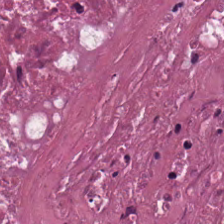Stain: hematoxylin-and-eosin stained section.
Resolution: 20× equivalent magnification.
Classification: debris.
